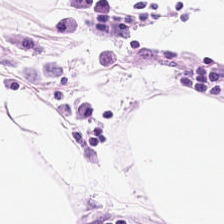Stain: H&E.
Classification: adipose.
